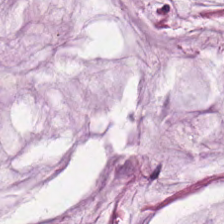Q: What tissue type is shown here?
A: The field shows extracellular mucin.
